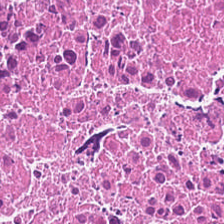Impression → cellular debris.
